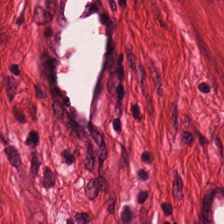H&E. Histology — smooth-muscle tissue.
